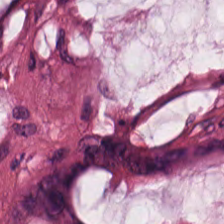H&E-stained tissue section.
Mucin.
